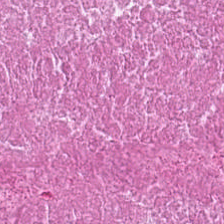Stain: H&E stain.
Tissue type: debris.
